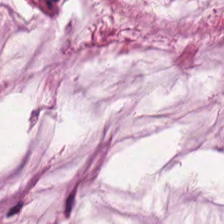H&E-stained section; the field shows mucin.
